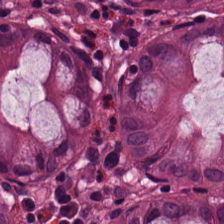H&E.
Tissue class — normal colonic mucosa.
